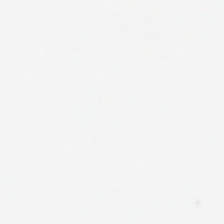Q: What does this patch show?
A: It is background (no tissue).
